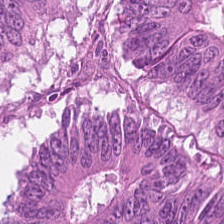Hematoxylin and eosin. Histology → adenocarcinoma.
